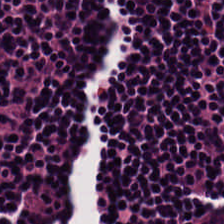Hematoxylin and eosin.
The predominant tissue is lymphocytic infiltrate.
